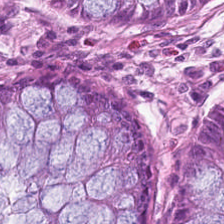Stain: H&E.
Tissue type: normal colon mucosa.
